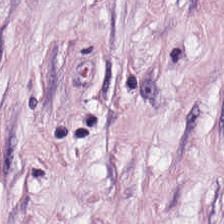Finding → tumor-associated stroma.
